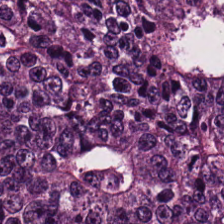H&E — adenocarcinoma.
